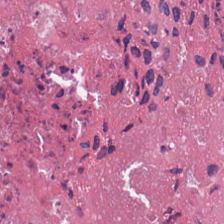224×224 px patch · H&E · brightfield — Tissue — debris.
